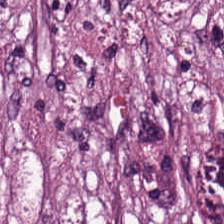Q: What is shown here?
A: It is tumor-associated stroma.
